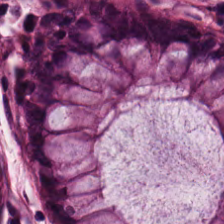H&E.
{"tissue_type": "normal colon mucosa"}
